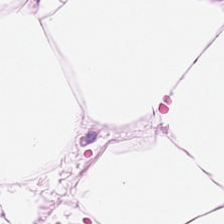Brightfield; H&E stain.
The predominant tissue is adipose.
